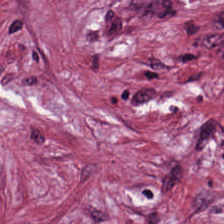The classification is desmoplastic stroma.
